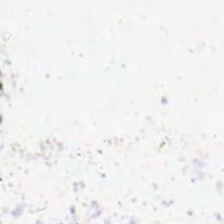224×224 pixel tile; hematoxylin-and-eosin stained section — Classification — no tissue.
